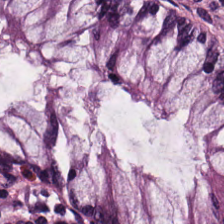H&E stain; 20× equivalent magnification — Q: What tissue type is shown here?
A: It is normal colon mucosa.
